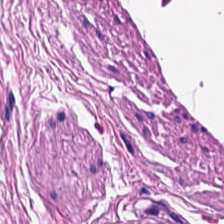Stain: hematoxylin and eosin.
Tissue: muscularis.
